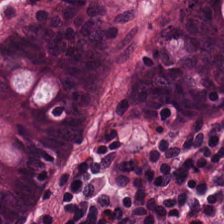Hematoxylin and eosin · 224×224 px tile — Q: What tissue is shown?
A: It is benign colonic mucosa.
